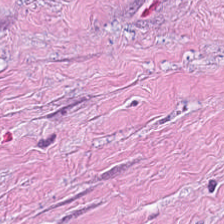Hematoxylin and eosin — Tissue class — cancer-associated stroma.
